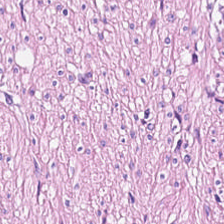The predominant tissue is muscularis.
